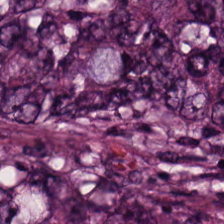H&E. Showing colorectal adenocarcinoma.
